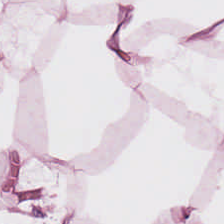Stain: H&E-stained tissue section.
Tissue class: adipose tissue.
